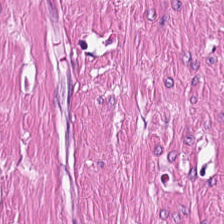Stain: hematoxylin and eosin.
Tissue type: smooth muscle.
